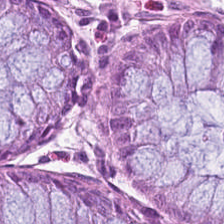H&E-stained tissue section; 0.5 microns per pixel. Classification: non-neoplastic colon mucosa.
